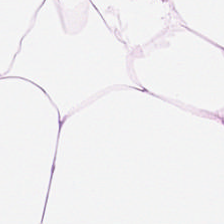Hematoxylin and eosin · 0.5 µm/px.
Q: What is shown here?
A: This is adipose tissue.
